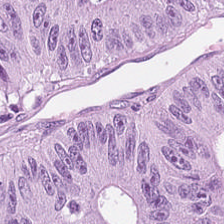0.5 µm/px · hematoxylin and eosin — The classification is adenocarcinoma.
